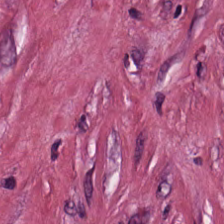Brightfield microscopy · 224×224 px patch · H&E — {"tissue_type": "tumor stroma"}
